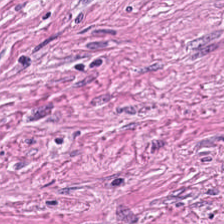Brightfield. Hematoxylin-and-eosin stained section.
Showing tumor-associated stroma.
